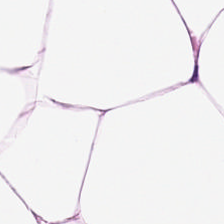Hematoxylin-and-eosin stained section — Tissue = adipocytes.
